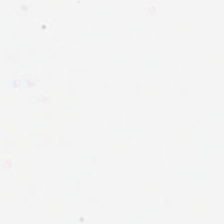Hematoxylin and eosin.
Histology → background.
